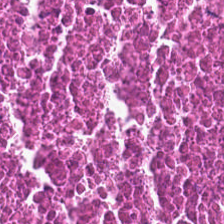Stain: H&E-stained tissue section.
Classification: necrotic debris.
